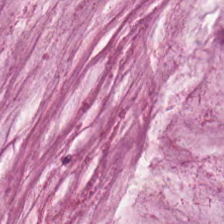Hematoxylin and eosin — Predominantly extracellular mucin.
